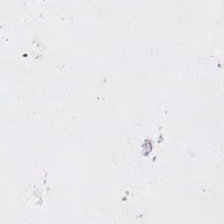The field content is background (no tissue).
